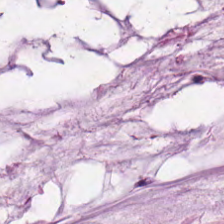H&E.
Histology → mucus.
